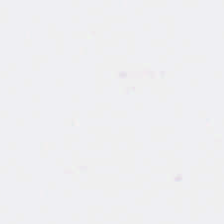Stain: hematoxylin and eosin.
Acquisition: brightfield microscopy.
Classification: empty background.
